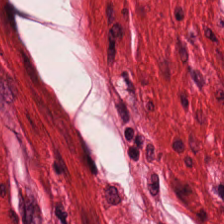Hematoxylin-and-eosin stained section — The tissue here is muscularis.
